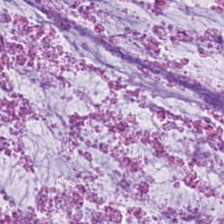H&E stain. The tissue here is mucin.
